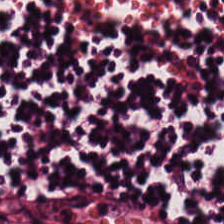0.5 µm/px. H&E-stained tissue section.
Tissue class — lymphocyte aggregate.
